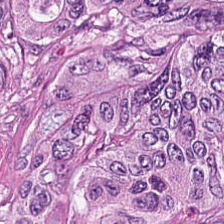Stain: H&E-stained tissue section.
Acquisition: WSI patch.
Predominant tissue: tumor epithelium.
